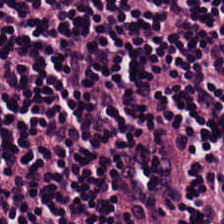Hematoxylin and eosin · 224×224 px patch — Showing lymphocytes.
